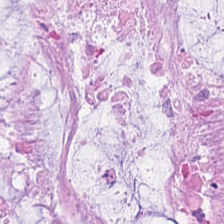Formalin-fixed paraffin-embedded section · 0.5 µm/px · hematoxylin and eosin.
Mucin.
